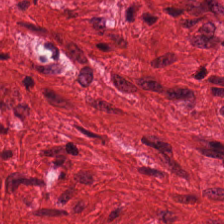Hematoxylin-and-eosin stained section; formalin-fixed paraffin-embedded section. Histology → smooth-muscle tissue.
